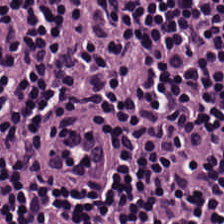Stain: H&E stain.
Predominant tissue: lymphocytes.
